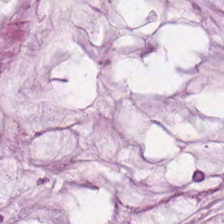H&E-stained tissue section — {"tissue_type": "mucus"}
